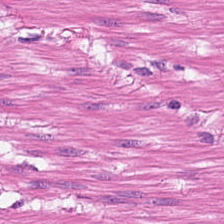Stain: H&E.
Preparation: FFPE tissue section.
Tissue type: smooth-muscle tissue.
